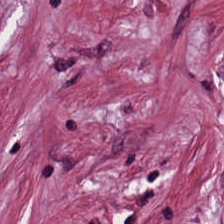The predominant tissue is desmoplastic stroma.
